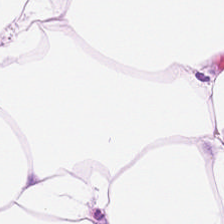H&E stain · 224×224 px tile — The predominant tissue is adipocytes.
